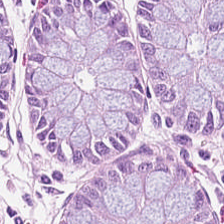H&E-stained tissue section.
Tissue: non-neoplastic colon mucosa.
